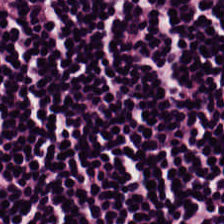Hematoxylin and eosin. Impression → lymphocytic infiltrate.
